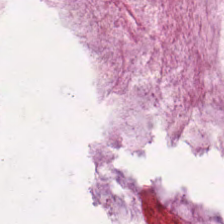Mucin.
